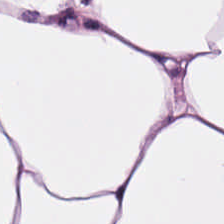The tissue here is adipocytes.
